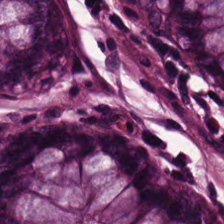H&E stain. Non-neoplastic colon mucosa.
